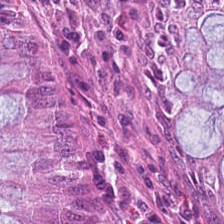Tissue class: normal colonic mucosa.
